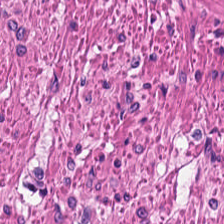224×224 px tile · H&E-stained tissue section — Showing muscularis.
